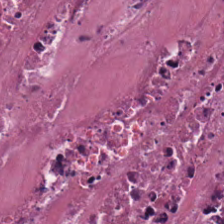Hematoxylin and eosin.
Tissue: necrotic debris.
